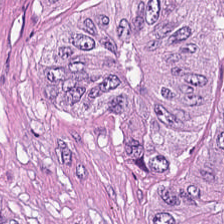Impression — colorectal adenocarcinoma epithelium.
